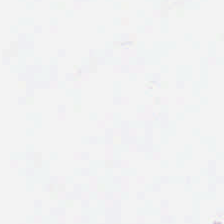{"content": "empty background"}
